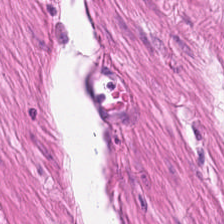H&E stain · FFPE. The tissue here is smooth muscle.
